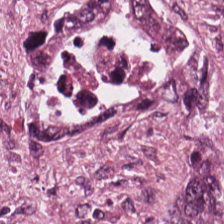Histology → tumor epithelium.
